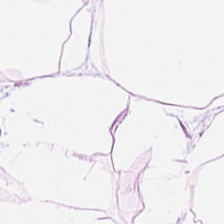Hematoxylin and eosin.
Tissue = adipose.
